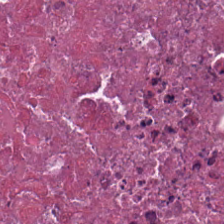H&E-stained tissue section. Q: What tissue is shown?
A: It is necrotic debris.
